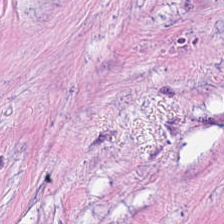Q: Classify this patch.
A: It is tumor-associated stroma.
